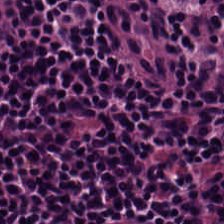224×224 pixel tile. H&E stain — Tissue class = lymphoid infiltrate.
